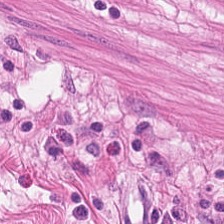Stain: H&E stain.
Tissue type: smooth-muscle tissue.
